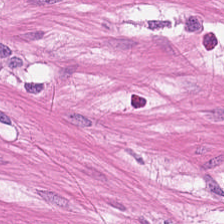Hematoxylin and eosin.
Predominantly muscularis.
